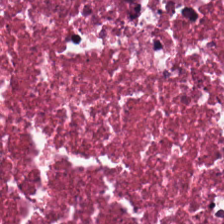Hematoxylin-and-eosin stained section.
The predominant tissue is cellular debris.
